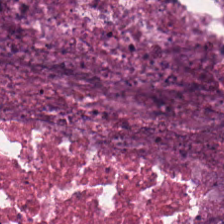Hematoxylin-and-eosin stained section.
This patch shows debris.
